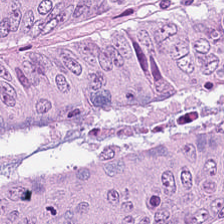Hematoxylin-and-eosin stained section.
Predominant tissue: adenocarcinoma.
